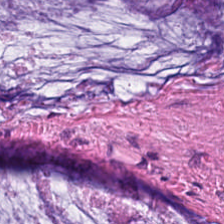The tissue type is extracellular mucin.
